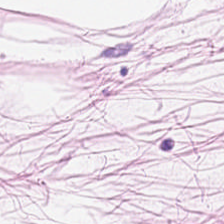WSI patch; 224×224 px tile; H&E.
Q: What is shown in this field?
A: It is fat tissue.
